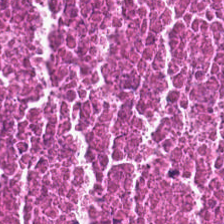Tissue type: debris.
